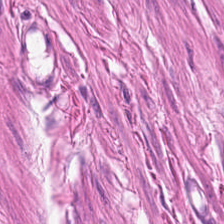WSI patch. 0.5 µm/px. H&E-stained tissue section. Tissue class — smooth muscle.
